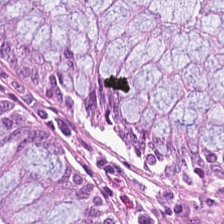FFPE tissue section. H&E.
Q: What is shown in this field?
A: Benign colonic mucosa.
